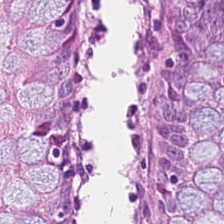Hematoxylin and eosin · 224×224 pixel tile · FFPE. Tissue: normal colonic mucosa.
